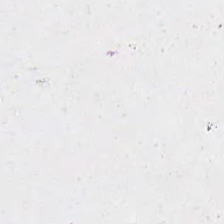H&E · formalin-fixed paraffin-embedded section.
The content is empty background.
